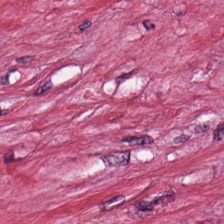H&E.
Q: Identify the tissue.
A: The field shows tumor-associated stroma.
